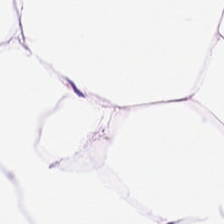{"tissue_type": "adipose"}
